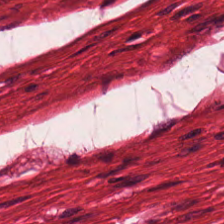H&E stain. Impression → muscularis.
